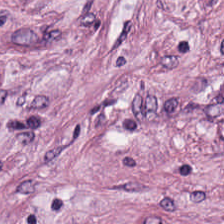Stain: hematoxylin-and-eosin stained section.
Acquisition: whole-slide-image patch.
Resolution: 0.5 µm per pixel.
Tissue type: tumor-associated stroma.
